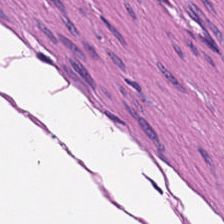H&E.
Q: What is the predominant tissue type?
A: It is smooth muscle.
